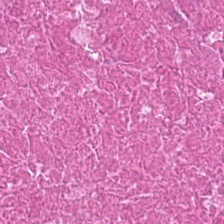Hematoxylin-and-eosin stained section. 224×224 pixel tile. Formalin-fixed paraffin-embedded section. {"tissue_type": "necrotic debris"}
